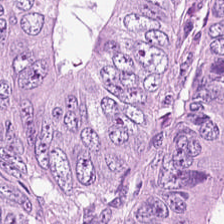Hematoxylin and eosin — {"tissue_type": "colorectal adenocarcinoma epithelium"}
